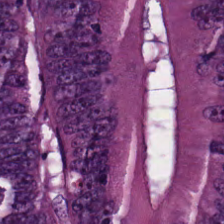H&E stain.
The tissue here is tumor epithelium.
